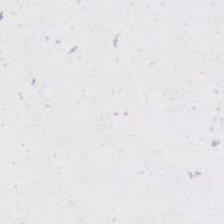Brightfield microscopy; H&E — This field is background (no tissue).
